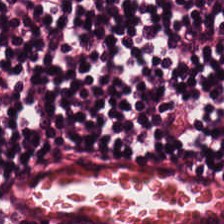Stain: H&E stain.
Resolution: 0.5 µm per pixel.
Tile size: 224×224 pixel tile.
Tissue class: lymphocytic infiltrate.
